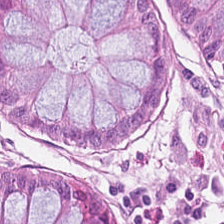Formalin-fixed paraffin-embedded section. H&E stain. Brightfield. Predominantly normal colon mucosa.
